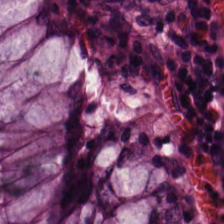Hematoxylin-and-eosin stained section — Impression — non-neoplastic colon mucosa.
